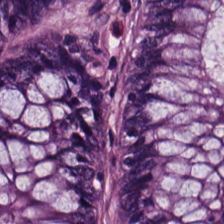H&E-stained tissue section — Q: Classify this patch.
A: It is normal colon mucosa.
